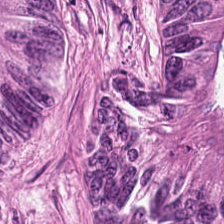H&E-stained tissue section. 0.5 µm per pixel. Brightfield microscopy. Colorectal adenocarcinoma epithelium.
